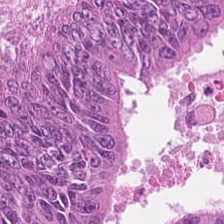Stain: H&E-stained tissue section.
Resolution: 0.5 microns per pixel.
Tile size: 224×224 pixel tile.
Predominant tissue: colorectal adenocarcinoma epithelium.
